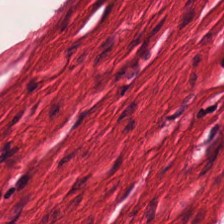Stain: hematoxylin and eosin.
Tile size: 224×224 px patch.
Acquisition: brightfield.
Predominant tissue: muscularis.
